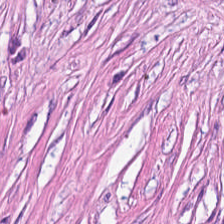20× equivalent magnification. H&E-stained tissue section — Tissue class: cancer-associated stroma.
